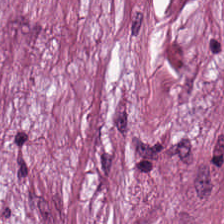Histology — tumor-associated stroma.
